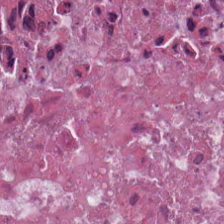Hematoxylin and eosin. 224×224 px tile. Formalin-fixed paraffin-embedded section.
This field is necrotic debris.
